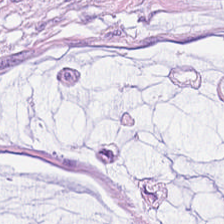FFPE tissue section. Hematoxylin and eosin. 224×224 px patch.
This field is extracellular mucin.
